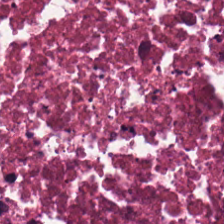20× equivalent magnification · H&E stain · whole-slide-image patch.
Histology — debris.
